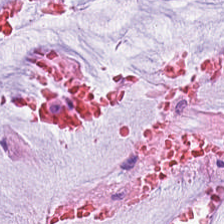Stain: H&E.
Resolution: 0.5 microns per pixel.
Tissue type: extracellular mucin.
